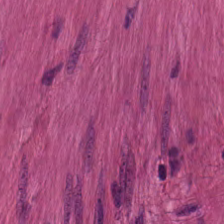Finding → smooth muscle.
